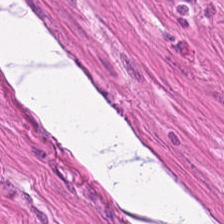Formalin-fixed paraffin-embedded section. Hematoxylin and eosin. This field is smooth muscle.
